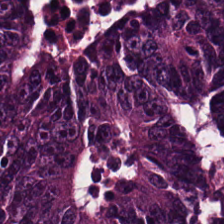H&E.
Q: What is shown in this field?
A: It is colorectal adenocarcinoma epithelium.
